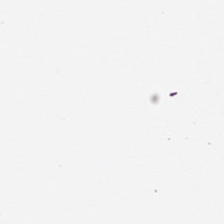H&E-stained tissue section.
Q: What does this patch show?
A: Empty background.
